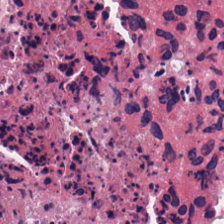0.5 µm/px. Hematoxylin and eosin. Whole-slide-image patch.
This field is necrotic debris.
